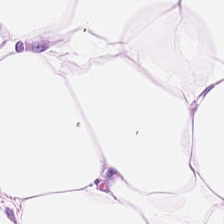Whole-slide-image patch. Hematoxylin-and-eosin stained section. 224×224 px patch. Classification: adipocytes.
